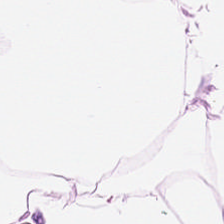FFPE · H&E-stained tissue section — Tissue type — adipose tissue.
